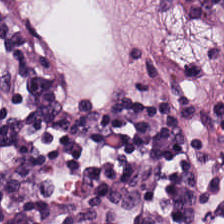Histology — lymphocytes.
